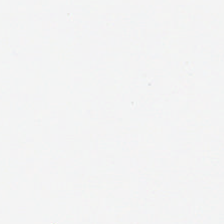H&E. No tissue present; background only.
